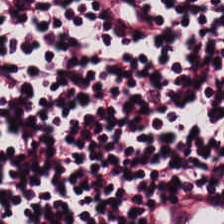H&E stain.
The tissue here is lymphoid infiltrate.
